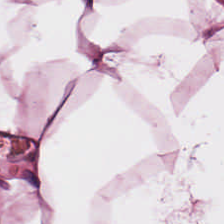0.5 microns per pixel; H&E stain.
Q: What tissue is shown?
A: This is adipose tissue.
